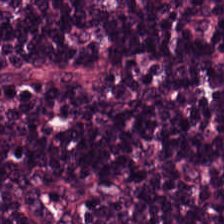Hematoxylin and eosin. 224×224 px patch. 20× equivalent magnification — This patch shows lymphocytes.
